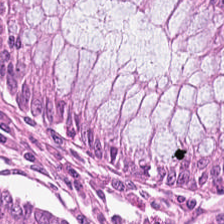The tissue is normal colonic mucosa.
